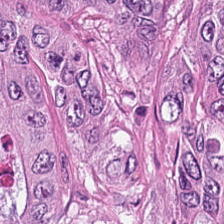Hematoxylin and eosin; WSI patch.
Q: What is the predominant tissue type?
A: It is malignant epithelium.
